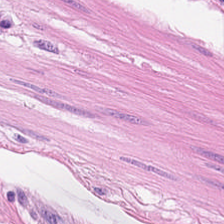Hematoxylin and eosin; FFPE.
The tissue here is muscularis.
